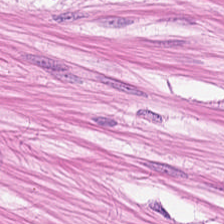Finding → smooth muscle.
